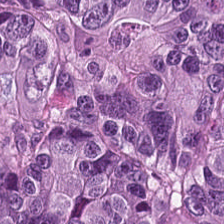H&E-stained tissue section.
Q: What is shown here?
A: Colorectal adenocarcinoma epithelium.
